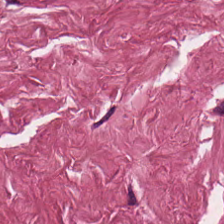0.5 µm/px. H&E.
Predominantly cancer-associated stroma.
